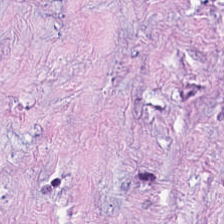Hematoxylin and eosin — The tissue is desmoplastic stroma.
